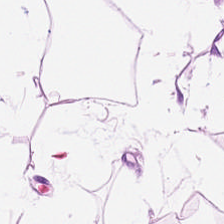The predominant tissue is adipocytes.
